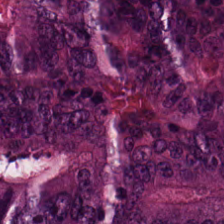This field is colorectal adenocarcinoma.
